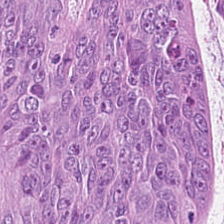224×224 px tile; hematoxylin and eosin. Showing adenocarcinoma.
